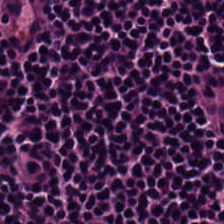Tissue type = lymphoid infiltrate.
